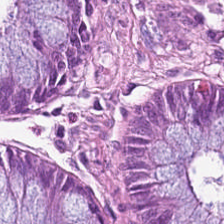0.5 µm per pixel; H&E.
Q: Identify the tissue.
A: The field shows normal colonic mucosa.
